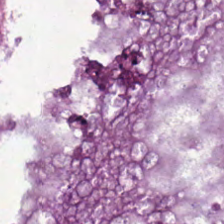FFPE; 0.5 µm/px; H&E stain.
Tissue type = tumor epithelium.
